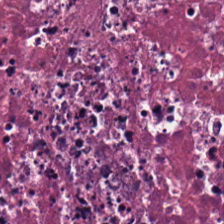The predominant tissue is debris.
